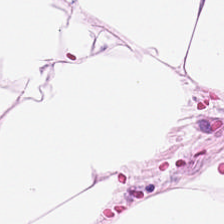Stain: H&E-stained tissue section.
Tissue: adipocytes.
